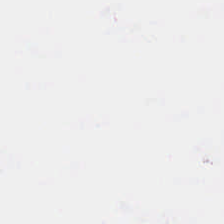20× equivalent magnification · brightfield · H&E stain. Histology → empty background.
